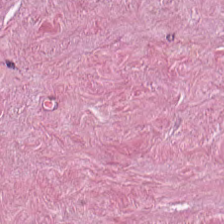Stain: H&E stain.
Predominant tissue: desmoplastic stroma.
